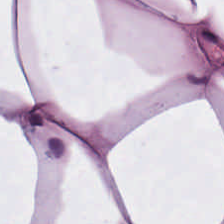Q: What is shown here?
A: This is adipose.
